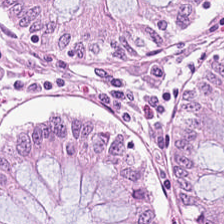H&E-stained tissue section.
Predominantly benign colonic mucosa.
